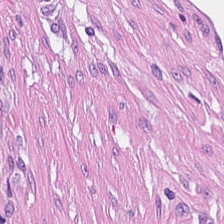Stain: hematoxylin and eosin.
Classification: desmoplastic stroma.
